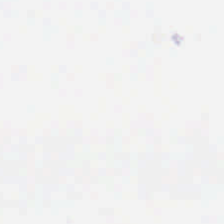Content — background (no tissue).
